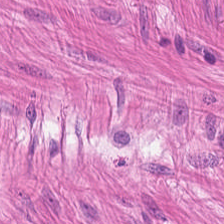H&E stain. 0.5 µm/px. Brightfield microscopy. This field is smooth muscle.
